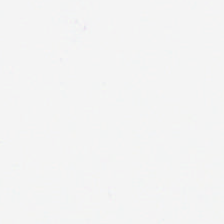H&E-stained tissue section. FFPE. Brightfield.
Q: What does this patch show?
A: The field shows no tissue.
